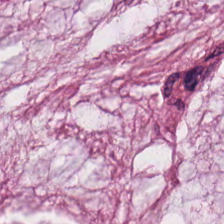Stain: hematoxylin-and-eosin stained section.
Preparation: FFPE.
Predominant tissue: mucus.
